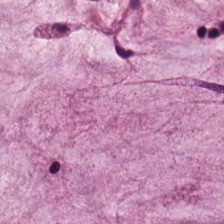Hematoxylin and eosin · 224×224 px tile.
The tissue here is mucus.
